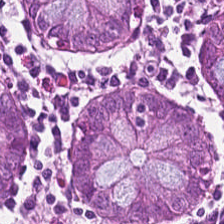Tissue type: benign colonic mucosa.
